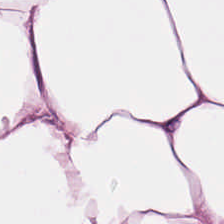H&E stain · 20× equivalent magnification — Q: Identify the tissue.
A: Adipocytes.
